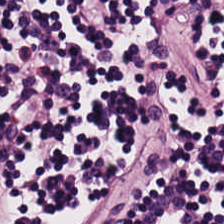Stain: hematoxylin-and-eosin stained section.
Resolution: 0.5 µm per pixel.
Predominant tissue: lymphocyte aggregate.
